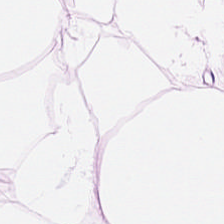Hematoxylin and eosin. Showing adipose.
